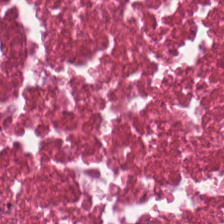224×224 pixel tile · H&E-stained tissue section · brightfield — Necrotic debris.
